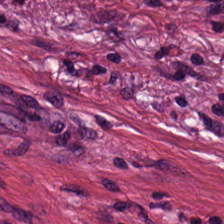Hematoxylin-and-eosin stained section; 0.5 µm/px; FFPE tissue section. Histology → tumor stroma.
